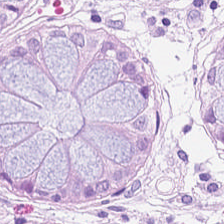Q: Classify this patch.
A: This is normal colonic mucosa.
